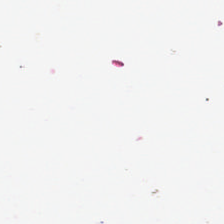Hematoxylin and eosin.
Classification = background (no tissue).
